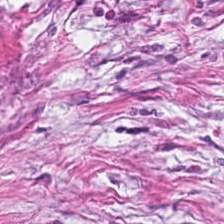H&E · brightfield microscopy.
The tissue here is cancer-associated stroma.
